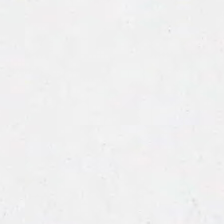Hematoxylin and eosin · 0.5 microns per pixel — No tissue present; background only.
